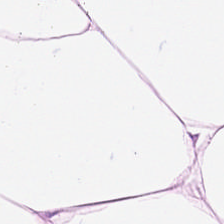Hematoxylin-and-eosin stained section — The classification is adipose.
